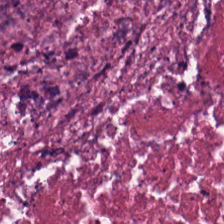Stain: hematoxylin-and-eosin stained section.
Tissue class: cellular debris.
